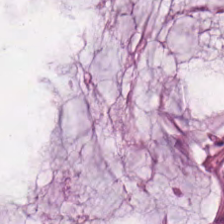H&E stain — Predominantly extracellular mucin.
